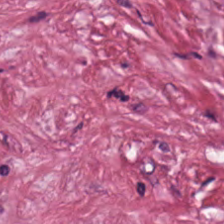H&E stain; formalin-fixed paraffin-embedded section.
Impression — desmoplastic stroma.
